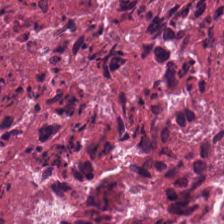Hematoxylin and eosin; FFPE — This patch shows debris.
